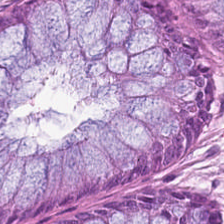The tissue here is normal colonic mucosa.
